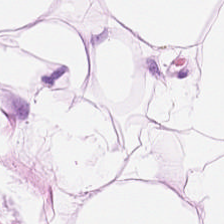224×224 px patch · hematoxylin-and-eosin stained section — Q: What tissue is shown?
A: It is fat tissue.
